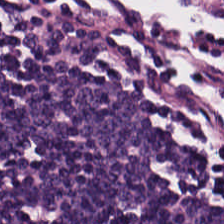This field is lymphocyte aggregate.
